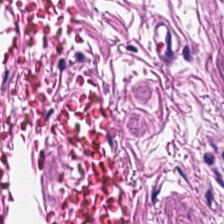Whole-slide-image patch; H&E stain. Q: What tissue type is shown here?
A: It is smooth muscle.
